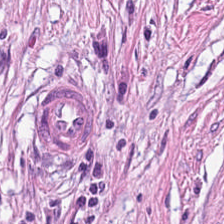Impression → desmoplastic stroma.
